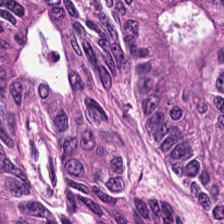0.5 µm/px · H&E stain — This field is tumor epithelium.
